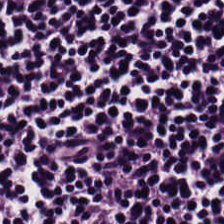Hematoxylin-and-eosin stained section. The tissue here is lymphocytic infiltrate.
